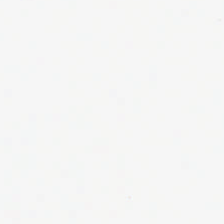WSI patch · hematoxylin-and-eosin stained section — The classification is background.
